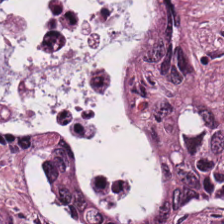Q: Classify this patch.
A: It is colorectal adenocarcinoma.
